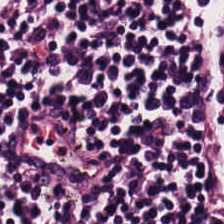Q: What type of tissue is this?
A: Lymphocytic infiltrate.
